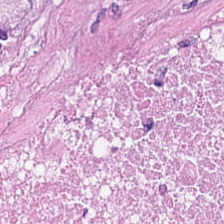Formalin-fixed paraffin-embedded section. 224×224 px patch. H&E-stained tissue section. Q: Identify the tissue.
A: The field shows debris.
